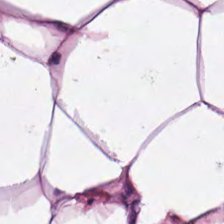This patch shows adipose tissue.
